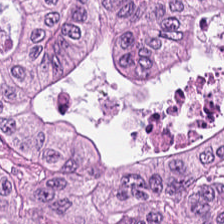H&E — The predominant tissue is adenocarcinoma.
